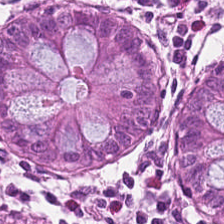Hematoxylin-and-eosin stained section.
This patch shows normal colon mucosa.
